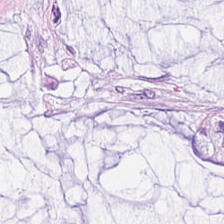Stain: H&E stain.
Resolution: 0.5 µm/px.
Preparation: formalin-fixed paraffin-embedded section.
Classification: mucus.
